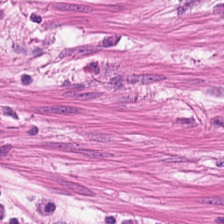H&E stain.
Predominantly muscularis.
